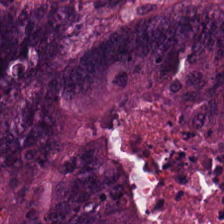Whole-slide-image patch; 0.5 µm/px; H&E-stained tissue section. Impression — colorectal adenocarcinoma epithelium.
